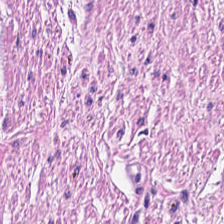H&E stain.
Q: What tissue is shown?
A: Smooth muscle.
